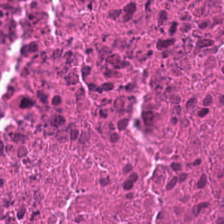Q: What type of tissue is this?
A: Necrotic debris.
